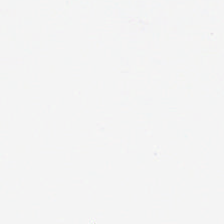H&E stain.
This field is background (no tissue).
